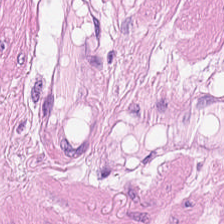224×224 px tile; hematoxylin and eosin.
Muscularis.
